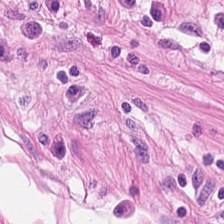Hematoxylin-and-eosin stained section — Showing smooth muscle.
